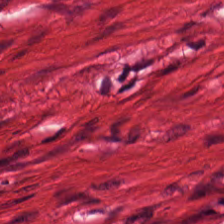H&E-stained section; the field shows smooth-muscle tissue.
